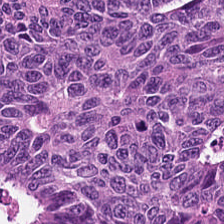H&E stain.
The predominant tissue is colorectal adenocarcinoma.
